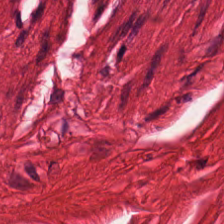Formalin-fixed paraffin-embedded section; H&E — The tissue type is smooth muscle.
